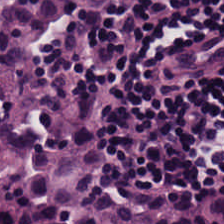Hematoxylin and eosin · 20× equivalent magnification.
Predominantly lymphocytes.
